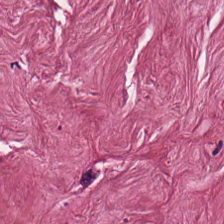Showing tumor stroma.
